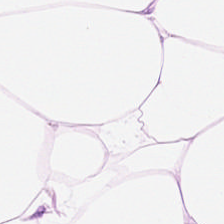Classification: adipocytes.
